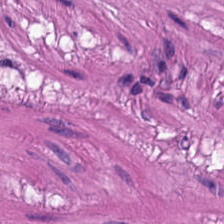Q: Identify the tissue.
A: This is muscularis.
